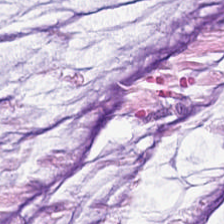Stain: H&E stain.
Tissue type: mucin.
